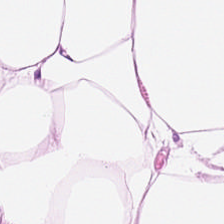Hematoxylin-and-eosin stained section. This field is adipose tissue.
